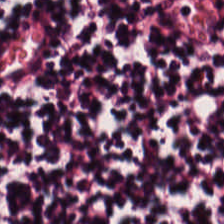Hematoxylin-and-eosin stained section — Showing lymphocyte aggregate.
